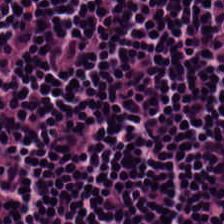FFPE tissue section; H&E-stained tissue section — Histology — lymphocytic infiltrate.
